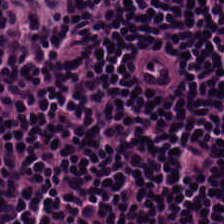Stain: H&E stain.
Preparation: FFPE tissue section.
Tissue: lymphocytic infiltrate.
